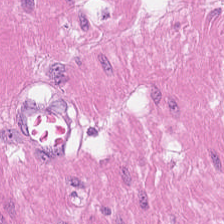Hematoxylin-and-eosin stained section. This field is smooth muscle.
